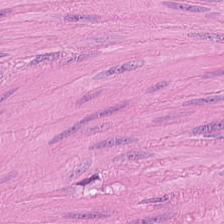Q: What is shown in this field?
A: It is muscularis.
